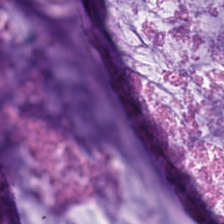Predominantly mucin.
